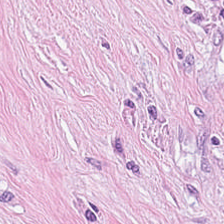Q: What is shown in this field?
A: Desmoplastic stroma.
